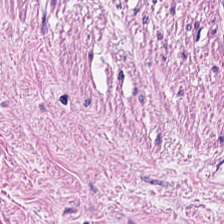20× equivalent magnification · H&E-stained tissue section · 224×224 px patch.
Predominant tissue — smooth muscle.
